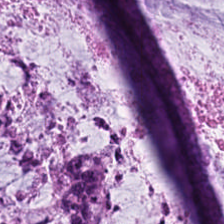Finding — extracellular mucin.
